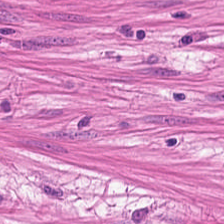Hematoxylin and eosin; 224×224 pixel tile. The classification is smooth muscle.
